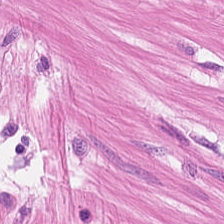Whole-slide-image patch. FFPE tissue section. Hematoxylin-and-eosin stained section — Tissue type = smooth-muscle tissue.
